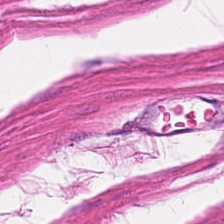H&E. 0.5 µm/px.
{"tissue_type": "smooth muscle"}
